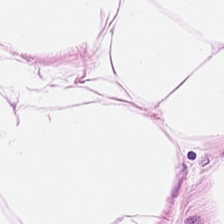H&E-stained tissue section — Tissue class — adipocytes.
